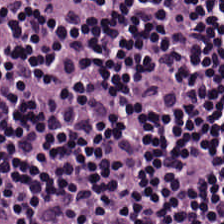The classification is lymphocytic infiltrate.
